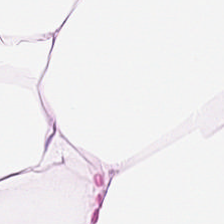H&E. This patch shows adipose.
